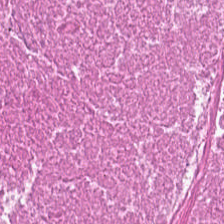H&E stain — The tissue is cellular debris.
